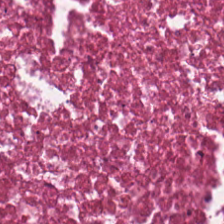FFPE tissue section; 224×224 px tile; hematoxylin-and-eosin stained section — Finding → debris.
